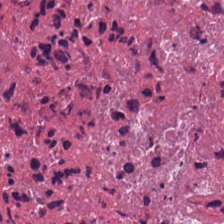H&E-stained section; the field shows cellular debris.
